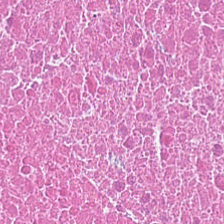Q: Identify the tissue.
A: Debris.
